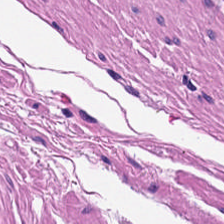Stain: H&E.
Tissue: muscularis.
